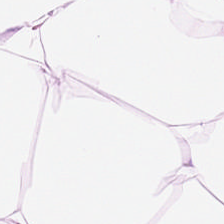Hematoxylin and eosin.
Impression — adipose tissue.
